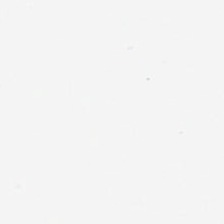H&E-stained tissue section — Field content = background.
